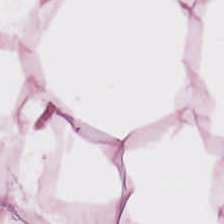FFPE tissue section. H&E. 224×224 px patch.
{"tissue_type": "adipose tissue"}
